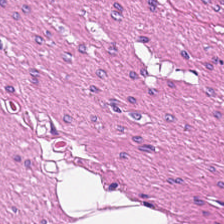FFPE; hematoxylin-and-eosin stained section — {"tissue_type": "smooth muscle"}
